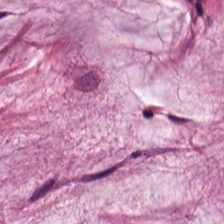Stain: H&E stain.
Tissue class: mucin.
